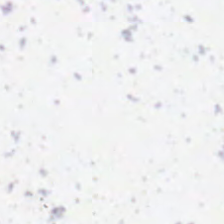H&E-stained tissue section; 0.5 µm per pixel — Q: What is shown here?
A: The field shows background.
